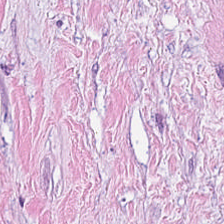H&E-stained tissue section — The tissue here is tumor-associated stroma.
